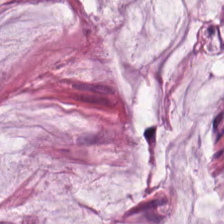{"tissue_type": "mucus"}
